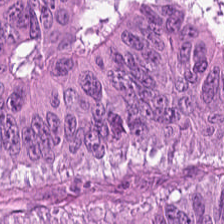H&E · formalin-fixed paraffin-embedded section.
Q: What type of tissue is this?
A: It is tumor epithelium.
